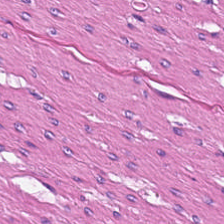H&E stain — Histology — muscularis.
